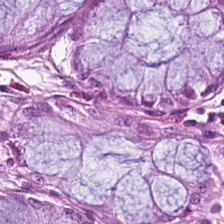Whole-slide-image patch; H&E stain. Classification = non-neoplastic colon mucosa.
